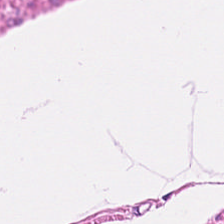H&E; brightfield. Muscularis.
